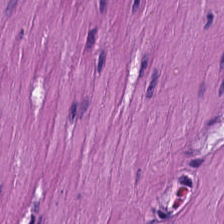Hematoxylin and eosin; 224×224 px tile. This field is muscularis.
